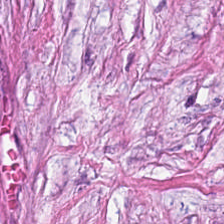224×224 px patch · hematoxylin and eosin · whole-slide-image patch. Tissue type — desmoplastic stroma.
